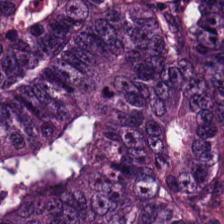Q: What does this patch show?
A: Colorectal adenocarcinoma.
